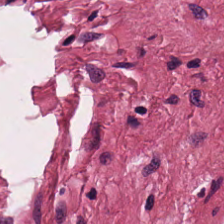Hematoxylin-and-eosin stained section; 0.5 µm/px — The predominant tissue is cancer-associated stroma.
